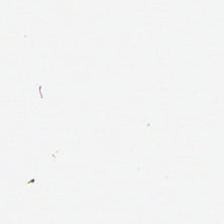Stain: H&E-stained tissue section.
Tile size: 224×224 px tile.
Resolution: 0.5 microns per pixel.
Content: no tissue.
